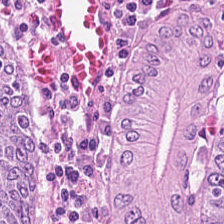H&E-stained tissue section. Brightfield microscopy. 224×224 px tile. Histology — tumor epithelium.
